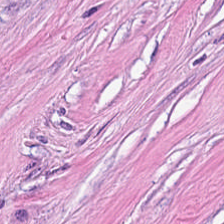Stain: H&E-stained tissue section.
Tissue class: desmoplastic stroma.
